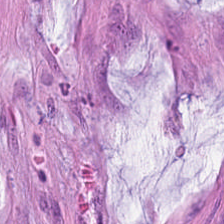Hematoxylin-and-eosin stained section — Tissue type = mucus.
